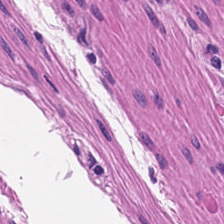Hematoxylin-and-eosin stained section — Showing smooth-muscle tissue.
